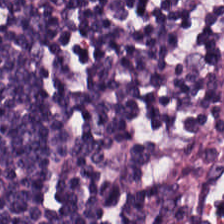FFPE tissue section. H&E. Tissue = lymphocytes.
